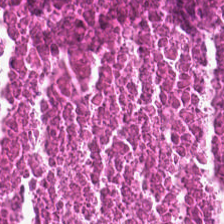Stain: hematoxylin-and-eosin stained section.
Tissue: cellular debris.
